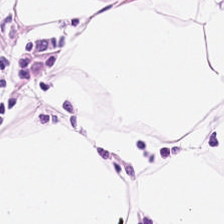Hematoxylin-and-eosin section: adipose tissue.
